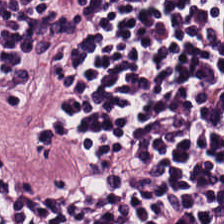Hematoxylin and eosin. Q: What tissue type is shown here?
A: It is lymphocytic infiltrate.
